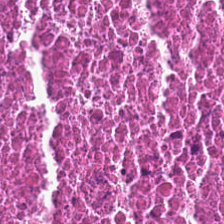Brightfield microscopy; hematoxylin and eosin — This patch shows necrotic debris.
